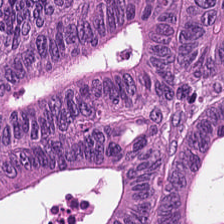Q: What does this patch show?
A: This is colorectal adenocarcinoma epithelium.
